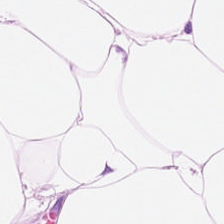H&E-stained tissue section. 224×224 px patch. Brightfield. {"tissue_type": "adipose tissue"}
